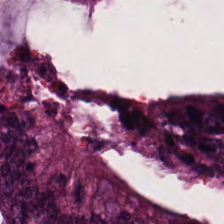Hematoxylin and eosin.
Q: What tissue is shown?
A: The field shows colorectal adenocarcinoma epithelium.
